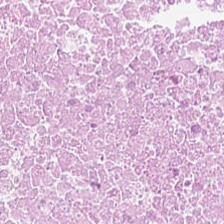224×224 px patch · H&E · brightfield microscopy.
The tissue here is necrotic debris.
